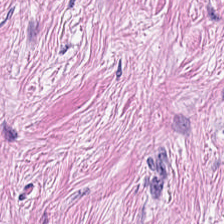Classification = tumor stroma.
